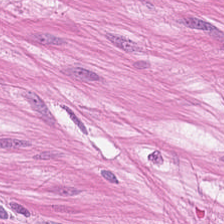Stain: H&E-stained tissue section.
Tissue class: smooth muscle.
